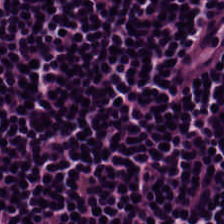H&E; 224×224 px tile. Predominant tissue: lymphocyte aggregate.
